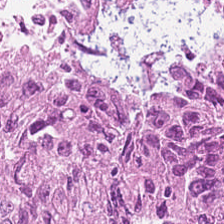H&E-stained section; the field shows tumor epithelium.
